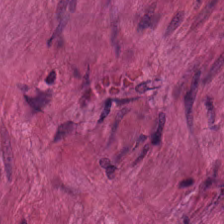Hematoxylin and eosin — Finding → smooth muscle.
